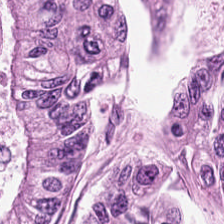H&E. Q: What tissue is shown?
A: This is tumor epithelium.
